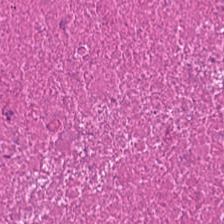Histology → cellular debris.
